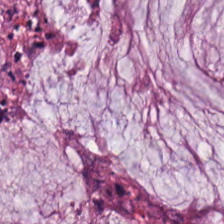H&E-stained tissue section · WSI patch. Q: What tissue type is shown here?
A: The field shows mucus.
